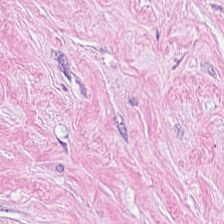Hematoxylin-and-eosin stained section — Q: What is shown here?
A: It is tumor-associated stroma.
